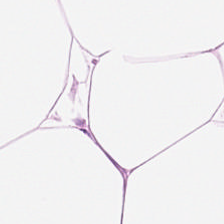H&E stain — Tissue class: adipose tissue.
